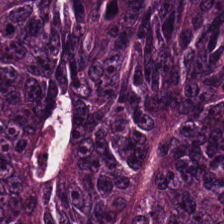Stain: H&E stain.
Acquisition: brightfield.
Tile size: 224×224 pixel tile.
Predominant tissue: colorectal adenocarcinoma epithelium.
